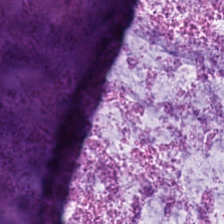H&E; FFPE.
{"tissue_type": "mucus"}
